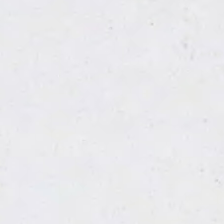Hematoxylin-and-eosin stained section.
No tissue present; background only.
